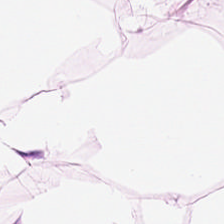Hematoxylin and eosin.
The tissue here is adipose.
